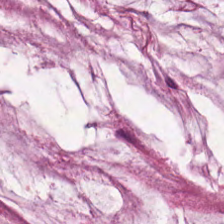H&E — This field is extracellular mucin.
